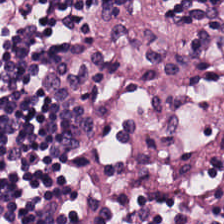Stain: H&E stain.
Tissue: lymphoid infiltrate.
